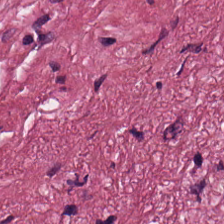224×224 px patch; H&E-stained tissue section — Tissue: desmoplastic stroma.
